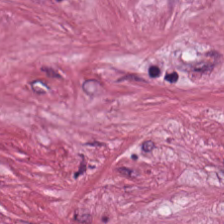Hematoxylin-and-eosin stained section. FFPE tissue section. {"tissue_type": "cancer-associated stroma"}
